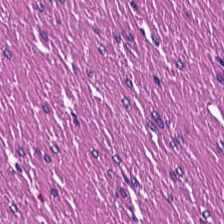H&E stain — Classification = smooth-muscle tissue.
